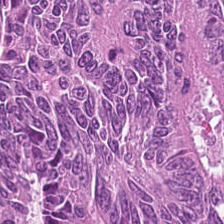WSI patch. H&E.
Tissue type = tumor epithelium.
